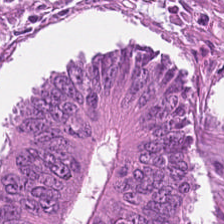Finding → malignant epithelium.
